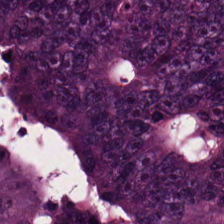Stain: hematoxylin and eosin.
Preparation: FFPE tissue section.
Classification: colorectal adenocarcinoma epithelium.
